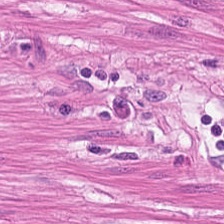Impression — smooth muscle.
